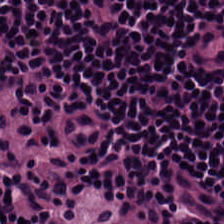Hematoxylin-and-eosin stained section.
Q: What tissue type is shown here?
A: It is lymphoid infiltrate.
